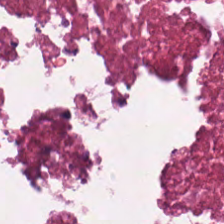Histology → cellular debris.
